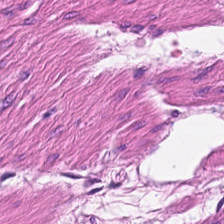Stain: H&E.
Predominant tissue: smooth-muscle tissue.
